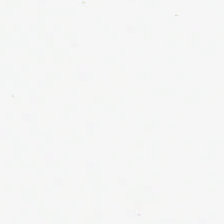0.5 µm per pixel · 224×224 pixel tile · H&E stain.
No tissue present; background only.
